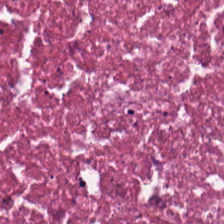Finding — cellular debris.
